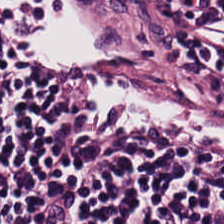The tissue here is lymphoid infiltrate.
